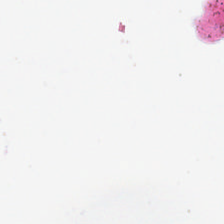224×224 pixel tile · hematoxylin and eosin.
Q: What is shown in this field?
A: The field shows no tissue.
